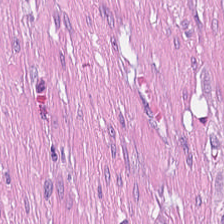H&E-stained tissue section · brightfield microscopy · 224×224 px patch. Tissue class: tumor stroma.
